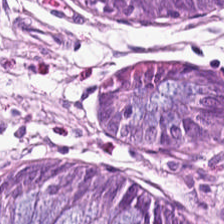0.5 µm per pixel; 224×224 px tile; H&E-stained tissue section.
{"tissue_type": "normal colonic mucosa"}
